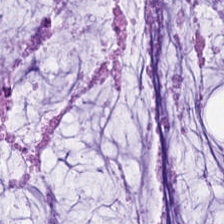This field is extracellular mucin.
